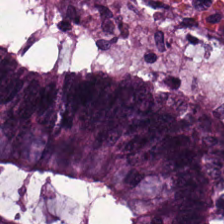Hematoxylin and eosin. Finding → colorectal adenocarcinoma epithelium.
